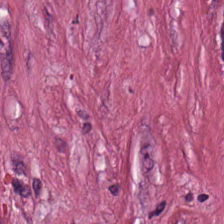Histology → desmoplastic stroma.
